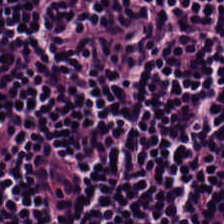Stain: H&E.
Tissue type: lymphoid infiltrate.
